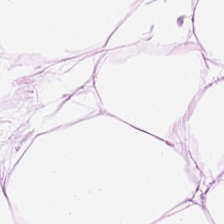This field is adipocytes.
